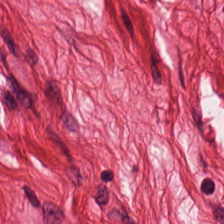Tissue type: smooth-muscle tissue.
